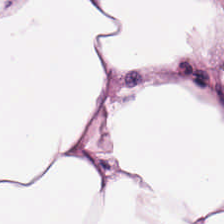Whole-slide-image patch · FFPE tissue section · H&E. This patch shows fat tissue.
